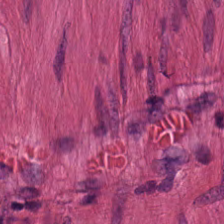Hematoxylin and eosin.
The tissue class is smooth muscle.
